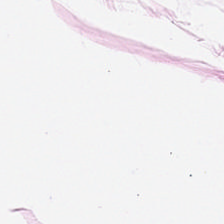224×224 px tile. 0.5 µm per pixel. H&E-stained tissue section — Fat tissue.
